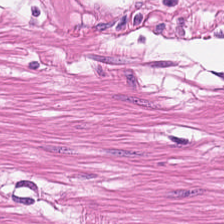H&E.
Histology — smooth-muscle tissue.
